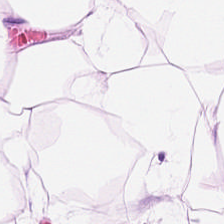0.5 µm per pixel; hematoxylin-and-eosin stained section.
Fat tissue.
